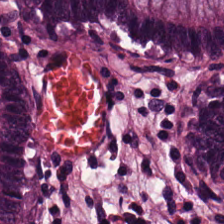Hematoxylin and eosin · FFPE tissue section. Q: What is the predominant tissue type?
A: The field shows normal colon mucosa.
